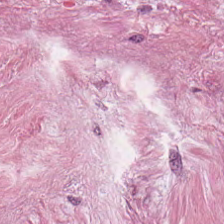Hematoxylin and eosin — Classification = tumor stroma.
